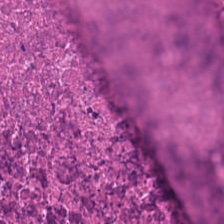Tissue type — debris.
